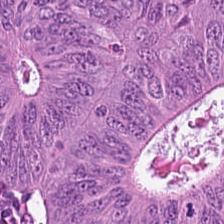H&E · FFPE tissue section · brightfield. The predominant tissue is tumor epithelium.
